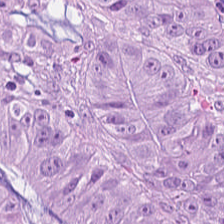H&E. FFPE.
This field is adenocarcinoma.
